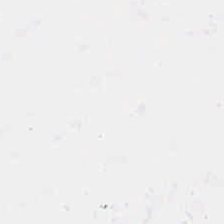This patch shows background (no tissue).
